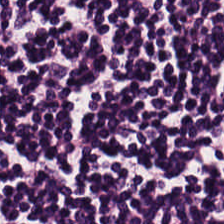FFPE tissue section. H&E-stained tissue section. Tissue class: lymphocytic infiltrate.
